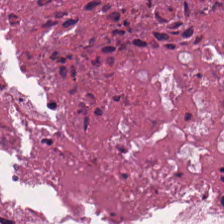H&E stain. 20× equivalent magnification.
This patch shows necrotic debris.
